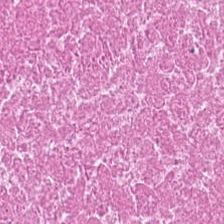The classification is necrotic debris.
